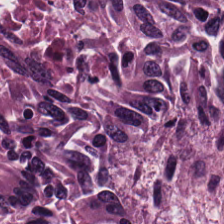Q: What tissue is shown?
A: The field shows colorectal adenocarcinoma epithelium.
